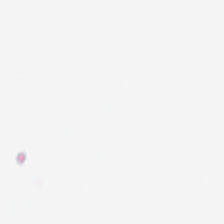H&E stain.
Q: What does this patch show?
A: The field shows background (no tissue).
